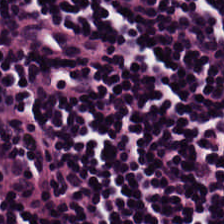20× equivalent magnification · H&E · FFPE. {"tissue_type": "lymphoid infiltrate"}
